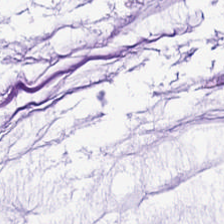0.5 µm/px. H&E-stained tissue section. This field is extracellular mucin.
